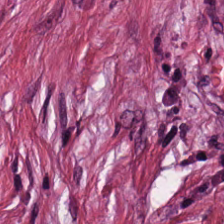H&E. The tissue is tumor stroma.
